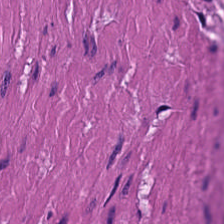H&E. 20× equivalent magnification. FFPE tissue section. Q: What does this patch show?
A: The field shows smooth-muscle tissue.
